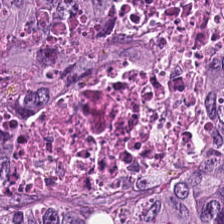Finding → tumor epithelium.
